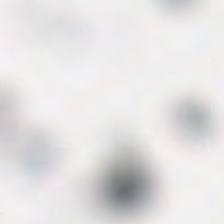Hematoxylin-and-eosin stained section. FFPE.
Background — no tissue in this field.
